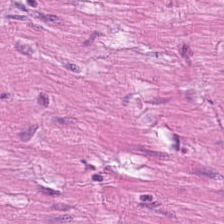H&E.
Q: Classify this patch.
A: Smooth-muscle tissue.
